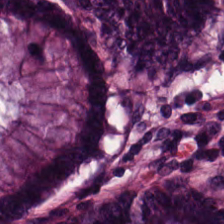Hematoxylin-and-eosin stained section.
Finding → benign colonic mucosa.
